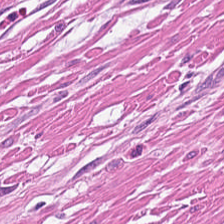Hematoxylin-and-eosin stained section · FFPE — Q: Identify the tissue.
A: It is smooth muscle.
